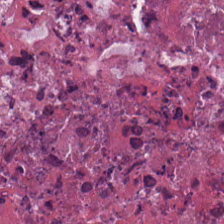Hematoxylin and eosin. Showing debris.
